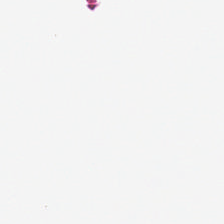H&E.
Histology — background (no tissue).
